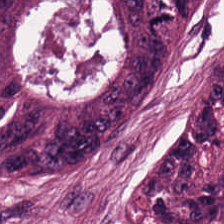H&E-stained tissue section. Q: What is shown here?
A: It is malignant epithelium.
